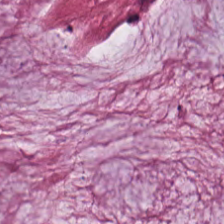FFPE tissue section · 0.5 µm/px · hematoxylin-and-eosin stained section — Showing extracellular mucin.
